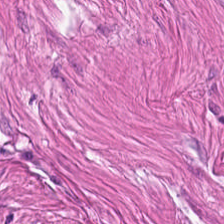H&E stain.
This field is smooth muscle.
